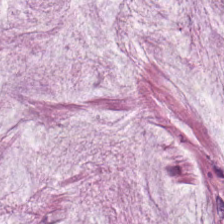Stain: H&E.
Tissue: mucin.
